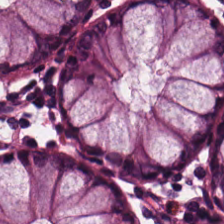224×224 pixel tile. H&E-stained tissue section.
Tissue = benign colonic mucosa.
